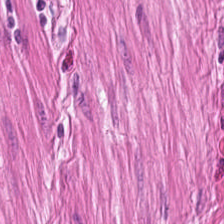Brightfield microscopy. Hematoxylin and eosin.
Tissue = muscularis.
